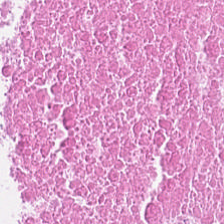Tissue class: debris.
